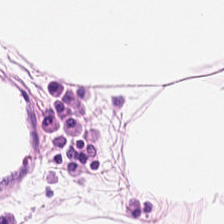Hematoxylin and eosin. Fat tissue.
